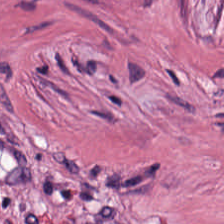H&E-stained tissue section — Predominantly desmoplastic stroma.
